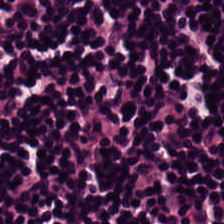0.5 µm/px. H&E. Brightfield microscopy.
Impression → lymphoid infiltrate.
